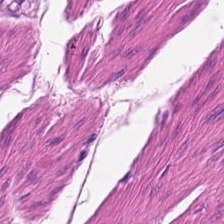Formalin-fixed paraffin-embedded section. H&E.
Predominant tissue = smooth-muscle tissue.
